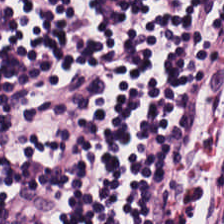Stain: hematoxylin and eosin.
Classification: lymphocytic infiltrate.
